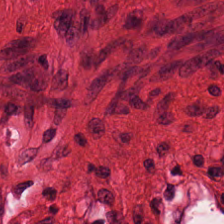Hematoxylin-and-eosin stained section.
Q: What type of tissue is this?
A: This is smooth muscle.
